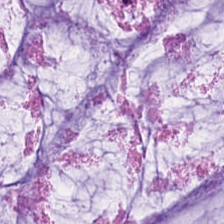H&E-stained tissue section showing extracellular mucin.
